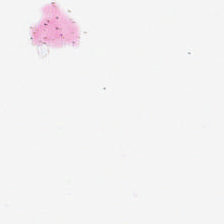0.5 µm/px. 224×224 px tile. H&E stain. {"content": "background"}
